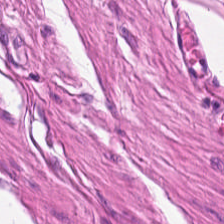H&E. Tissue type — smooth-muscle tissue.
